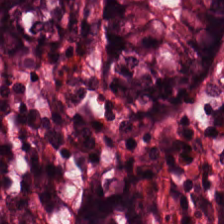Stain: hematoxylin and eosin.
Acquisition: brightfield microscopy.
Tissue class: normal colon mucosa.
